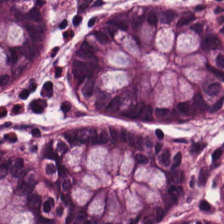H&E.
Tissue — normal colon mucosa.
